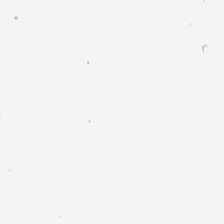H&E-stained tissue section · 0.5 µm per pixel — Background — no tissue in this field.
